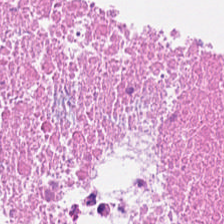Hematoxylin-and-eosin section: debris.
